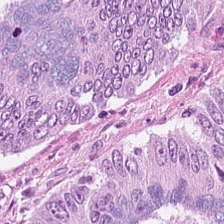224×224 pixel tile · hematoxylin and eosin — This field is colorectal adenocarcinoma.
